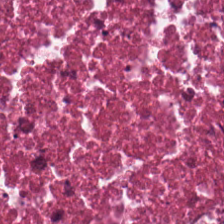Hematoxylin and eosin — The classification is cellular debris.
